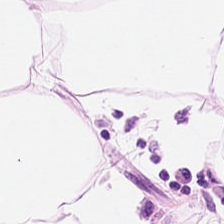224×224 px tile; hematoxylin-and-eosin stained section. This patch shows adipose.
